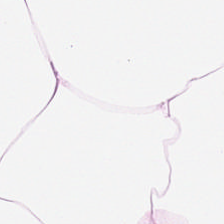Finding → adipocytes.
